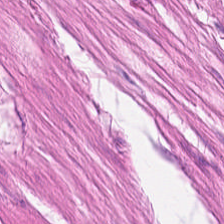0.5 µm/px · hematoxylin-and-eosin stained section. Q: What is shown here?
A: It is muscularis.
